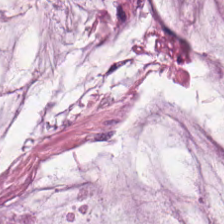H&E.
This field is extracellular mucin.
